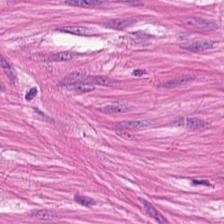Stain: H&E stain.
Preparation: FFPE.
Acquisition: WSI patch.
Classification: muscularis.
